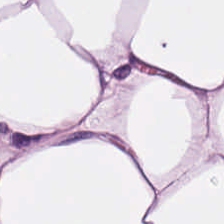H&E-stained tissue section.
This patch shows adipocytes.
